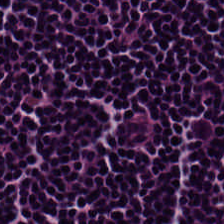Q: Classify this patch.
A: This is lymphocyte aggregate.
